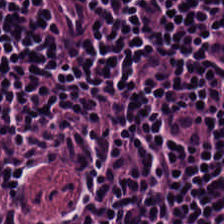Hematoxylin and eosin — Classification: lymphocyte aggregate.
